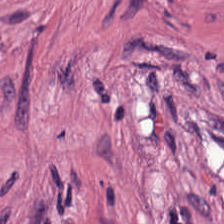H&E-stained tissue section — The predominant tissue is tumor stroma.
